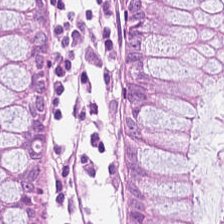224×224 pixel tile · hematoxylin and eosin — The tissue here is non-neoplastic colon mucosa.
